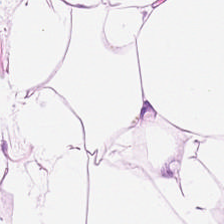H&E stain.
Impression → adipose.
